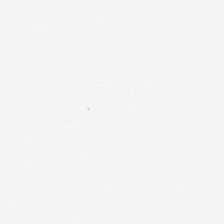H&E · 0.5 µm per pixel — Histology — no tissue.
